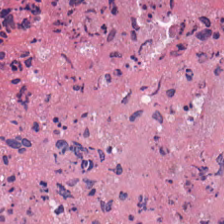H&E-stained tissue section. Tissue — necrotic debris.
